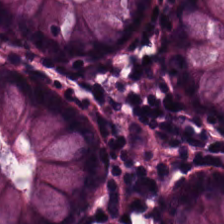Hematoxylin and eosin · whole-slide-image patch · FFPE.
This field is normal colonic mucosa.
